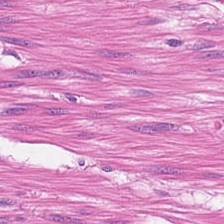0.5 µm per pixel · H&E stain · FFPE.
Tissue class = smooth muscle.
